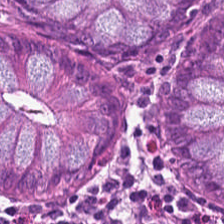H&E stain — Finding → non-neoplastic colon mucosa.
